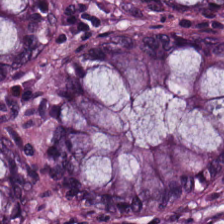H&E stain · FFPE.
Tissue = normal colonic mucosa.
